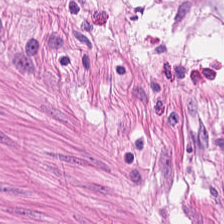Hematoxylin and eosin.
Tissue = muscularis.
